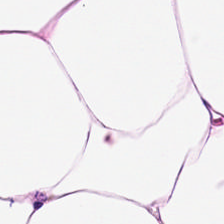Predominant tissue: adipocytes.
